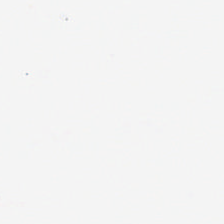224×224 px tile · hematoxylin-and-eosin stained section — No tissue present; background only.
